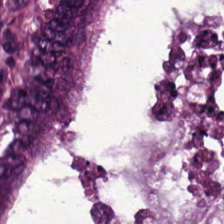The tissue is colorectal adenocarcinoma epithelium.
